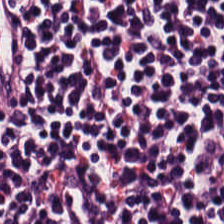H&E-stained tissue section — Q: What tissue type is shown here?
A: Lymphocytes.
